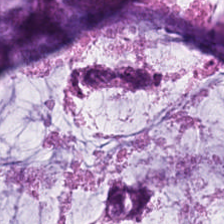Stain: hematoxylin and eosin.
Resolution: 0.5 µm/px.
Predominant tissue: extracellular mucin.
